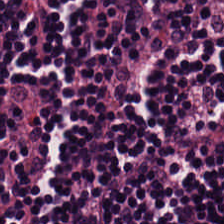Stain: hematoxylin-and-eosin stained section.
Tile size: 224×224 pixel tile.
Predominant tissue: lymphocytes.
